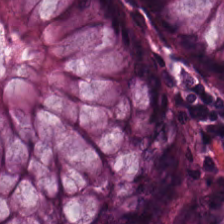Showing normal colonic mucosa.
